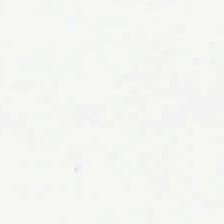Stain: hematoxylin and eosin.
Preparation: FFPE.
Acquisition: brightfield.
Field content: empty background.
